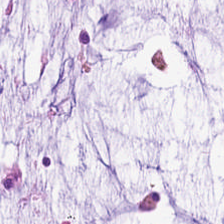Stain: hematoxylin and eosin.
Tissue type: mucin.
